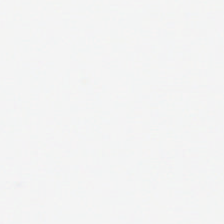224×224 px patch; brightfield; hematoxylin and eosin — This field is background (no tissue).
